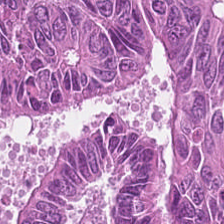H&E-stained tissue section.
This field is tumor epithelium.
